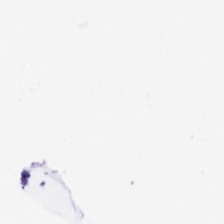Hematoxylin and eosin — Impression — background (no tissue).
